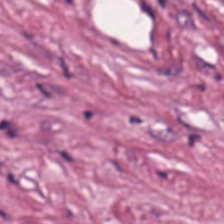Brightfield microscopy. 0.5 microns per pixel. H&E stain — The tissue here is tumor-associated stroma.
